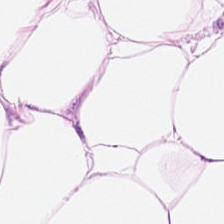0.5 microns per pixel. FFPE. H&E — Predominantly fat tissue.
